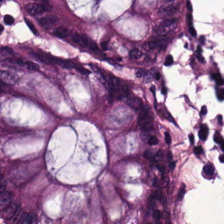H&E. 224×224 px tile — Predominant tissue: normal colon mucosa.
